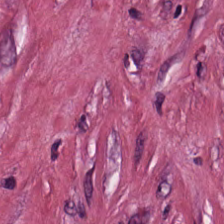Impression → tumor stroma.
